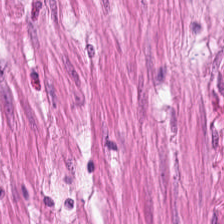H&E-stained tissue section. Predominantly smooth-muscle tissue.
